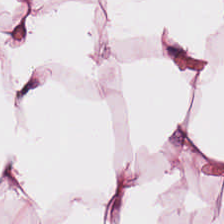Q: What does this patch show?
A: It is adipose.
